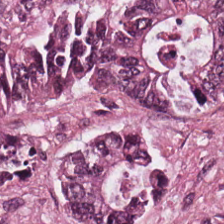{"tissue_type": "malignant epithelium"}
